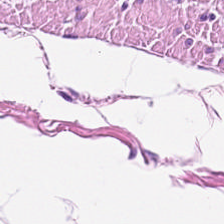224×224 px patch · hematoxylin-and-eosin stained section. This patch shows smooth muscle.
